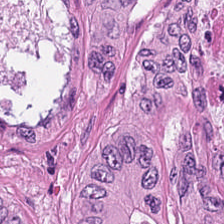H&E-stained tissue section showing colorectal adenocarcinoma epithelium.
